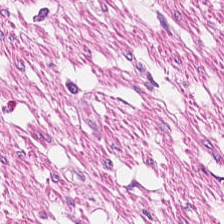Hematoxylin-and-eosin stained section · FFPE tissue section — Predominantly smooth-muscle tissue.
